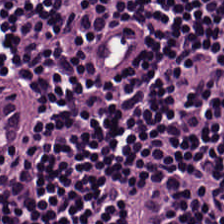H&E-stained tissue section.
Lymphocytes.
